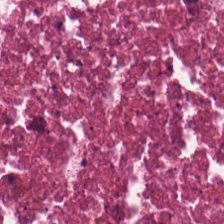Stain: H&E stain.
Preparation: formalin-fixed paraffin-embedded section.
Tile size: 224×224 pixel tile.
Tissue: debris.
